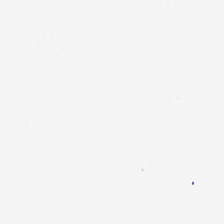Field content — background.
